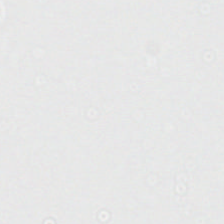This patch shows empty background.
